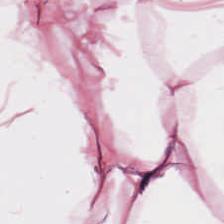Stain: H&E stain.
Tile size: 224×224 px patch.
Tissue class: adipocytes.
